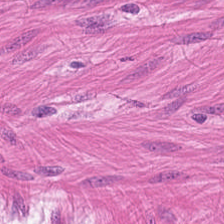Formalin-fixed paraffin-embedded section. 0.5 µm per pixel. H&E stain — Showing smooth-muscle tissue.
